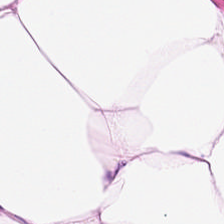H&E stain · 0.5 µm/px — Adipose.
